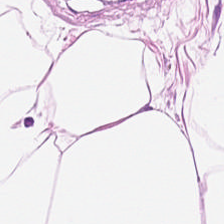H&E-stained tissue section. FFPE — This field is fat tissue.
